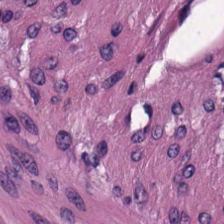Hematoxylin-and-eosin stained section. Finding → smooth muscle.
